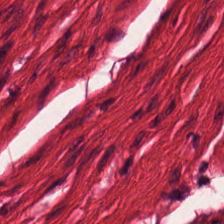H&E stain — The predominant tissue is smooth muscle.
